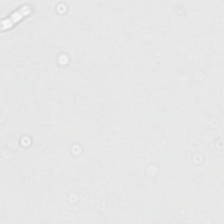0.5 µm per pixel. Brightfield microscopy. Hematoxylin-and-eosin stained section — Q: What is shown in this field?
A: This is empty background.
